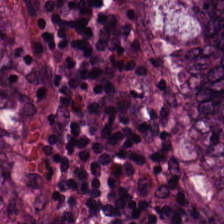Colorectal adenocarcinoma epithelium.
